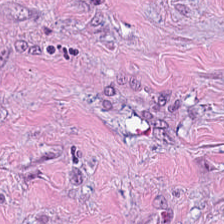H&E stain.
Histology — tumor-associated stroma.
